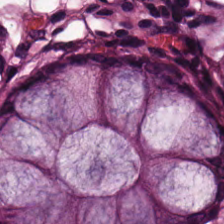Hematoxylin-and-eosin stained section.
Q: Identify the tissue.
A: Normal colon mucosa.
